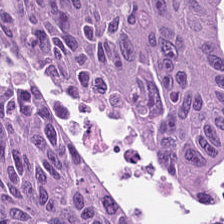The tissue here is adenocarcinoma.
